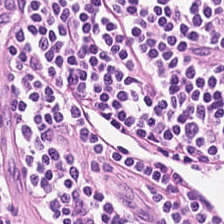Tissue type = lymphocytes.
